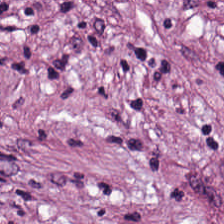Brightfield microscopy. Hematoxylin-and-eosin stained section.
Showing cancer-associated stroma.
